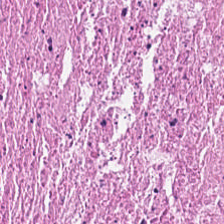224×224 px patch; 20× equivalent magnification; H&E.
Showing debris.
